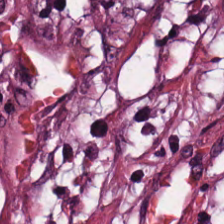Hematoxylin-and-eosin stained section — Histology — cancer-associated stroma.
